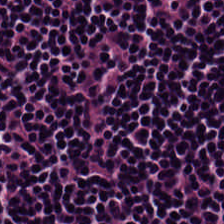H&E stain; 0.5 microns per pixel. Histology → lymphoid infiltrate.
